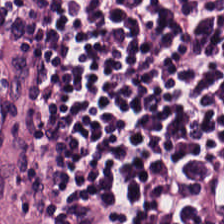Stain: H&E stain.
Acquisition: whole-slide-image patch.
Predominant tissue: lymphocytic infiltrate.
